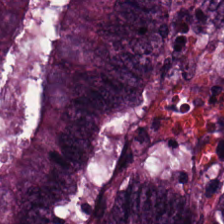H&E — This field is adenocarcinoma.
